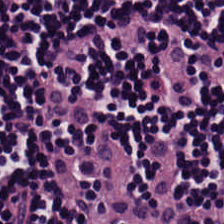H&E-stained tissue section.
This field is lymphocyte aggregate.
